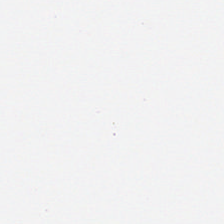H&E-stained tissue section — Finding → empty background.
